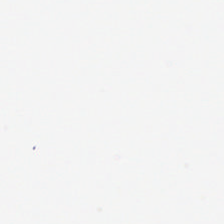Hematoxylin-and-eosin stained section.
Background (no tissue).
